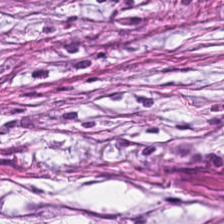Hematoxylin and eosin — The predominant tissue is cancer-associated stroma.
